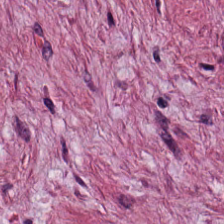Tissue type: cancer-associated stroma.
